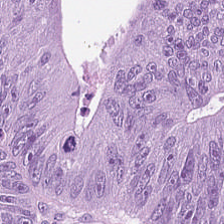{"tissue_type": "adenocarcinoma"}
